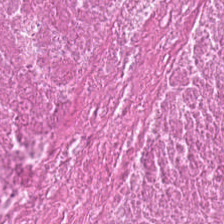The tissue type is cellular debris.
